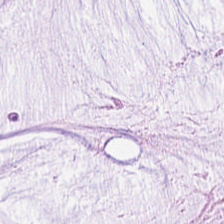Whole-slide-image patch; FFPE; hematoxylin-and-eosin stained section.
Showing mucus.
